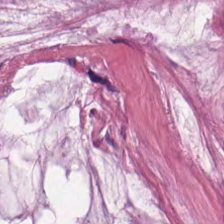H&E stain — Finding — mucus.
